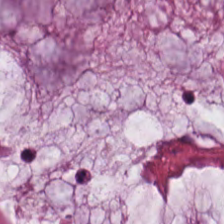Whole-slide-image patch. Hematoxylin and eosin. Showing extracellular mucin.
